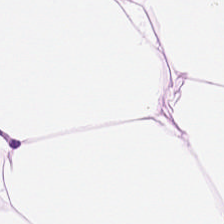Hematoxylin and eosin — This patch shows adipose.
